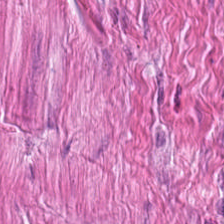H&E; 224×224 px tile.
Smooth muscle.
